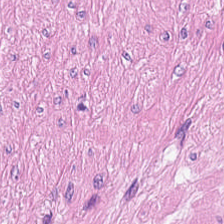H&E; 0.5 µm per pixel — Q: What tissue type is shown here?
A: This is smooth muscle.
